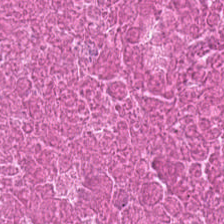Stain: hematoxylin-and-eosin stained section.
Acquisition: whole-slide-image patch.
Preparation: FFPE tissue section.
Tissue class: necrotic debris.
